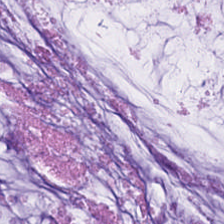H&E-stained tissue section · 224×224 px patch · whole-slide-image patch.
Impression → extracellular mucin.
